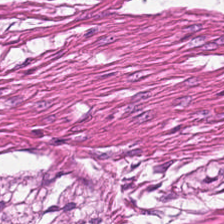H&E stain. Predominant tissue: smooth-muscle tissue.
